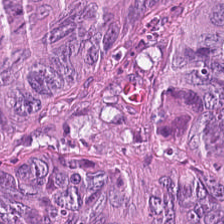H&E.
Finding — malignant epithelium.
